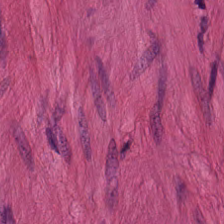Hematoxylin-and-eosin stained section. The tissue class is muscularis.
